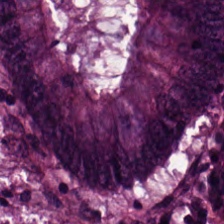Hematoxylin-and-eosin stained section. Predominantly tumor epithelium.
